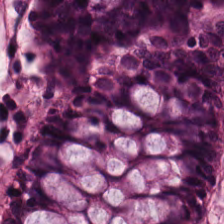224×224 pixel tile. H&E stain. FFPE — The tissue is normal colonic mucosa.
